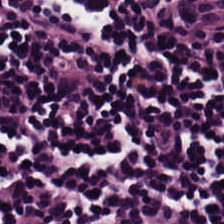H&E — Tissue type — lymphocytic infiltrate.
